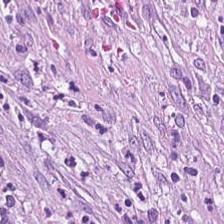FFPE · H&E stain — Impression → tumor-associated stroma.
